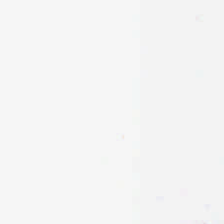224×224 px patch · hematoxylin-and-eosin stained section — No tissue present; background only.
